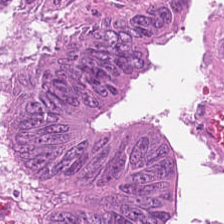Q: What is shown here?
A: It is adenocarcinoma.
